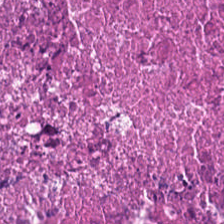H&E stain. Histology → necrotic debris.
